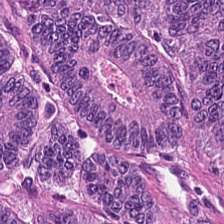Hematoxylin-and-eosin stained section. This field is colorectal adenocarcinoma.
